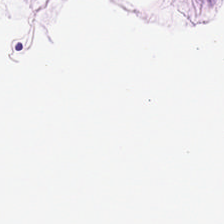Stain: H&E.
Predominant tissue: adipose tissue.
